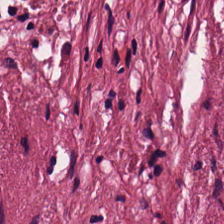The tissue here is tumor stroma.
